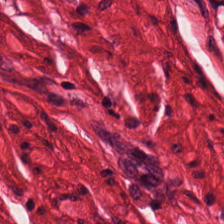H&E. Predominantly smooth muscle.
